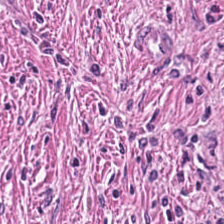Brightfield microscopy; 224×224 px tile; H&E — Histology → tumor stroma.
